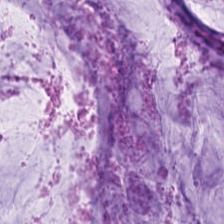224×224 px tile; hematoxylin and eosin — Predominant tissue: extracellular mucin.
